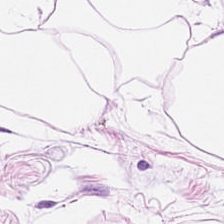Hematoxylin-and-eosin stained section; 20× equivalent magnification.
This patch shows adipose tissue.
